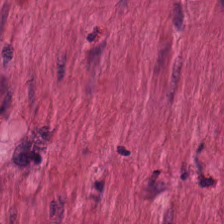H&E-stained tissue section · 0.5 µm per pixel. Q: Identify the tissue.
A: It is muscularis.
